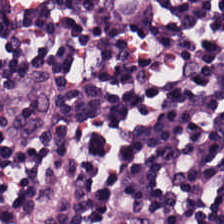Brightfield microscopy. H&E stain. 0.5 microns per pixel. Impression → lymphoid infiltrate.
